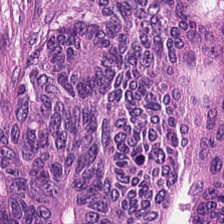H&E.
Q: What type of tissue is this?
A: Adenocarcinoma.
